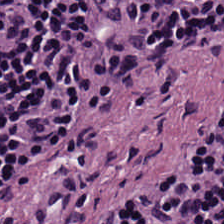0.5 µm/px · WSI patch · hematoxylin and eosin. Tissue type — lymphocytes.
